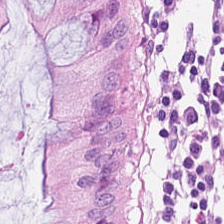H&E stain.
Q: What tissue type is shown here?
A: It is benign colonic mucosa.
